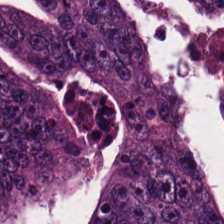H&E-stained tissue section. Whole-slide-image patch. Formalin-fixed paraffin-embedded section. Classification: adenocarcinoma.
